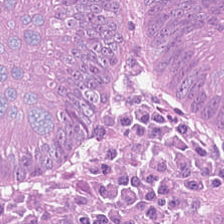WSI patch; H&E stain. Q: What does this patch show?
A: Adenocarcinoma.
